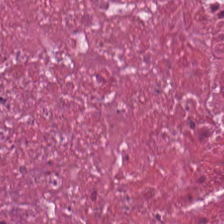H&E — Q: What is shown in this field?
A: The field shows cellular debris.
